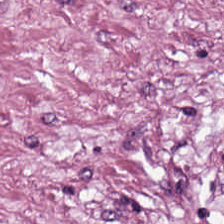Hematoxylin and eosin. Q: What type of tissue is this?
A: This is tumor-associated stroma.
